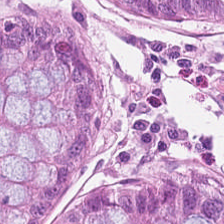Q: What tissue is shown?
A: Benign colonic mucosa.
